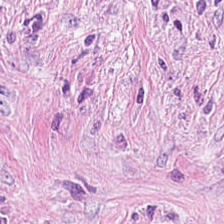Stain: H&E.
Tissue type: tumor stroma.
